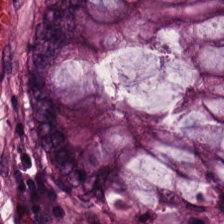224×224 pixel tile. H&E-stained tissue section. Brightfield. Predominant tissue: non-neoplastic colon mucosa.
